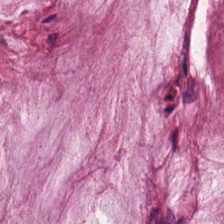H&E-stained tissue section.
Histology — mucin.
